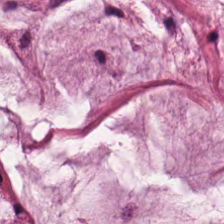Predominantly mucin.
